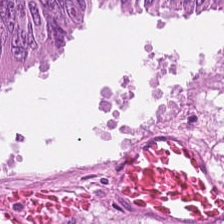Hematoxylin and eosin. Tissue class = tumor epithelium.
